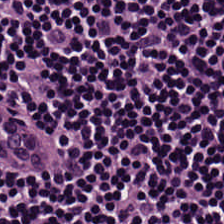20× equivalent magnification · hematoxylin and eosin — The predominant tissue is lymphoid infiltrate.
